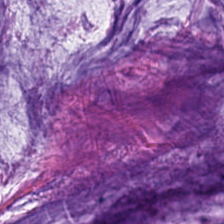H&E stain. The predominant tissue is mucin.
